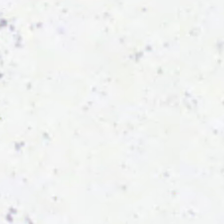Hematoxylin-and-eosin stained section · 0.5 microns per pixel · 224×224 pixel tile. Histology → background (no tissue).
